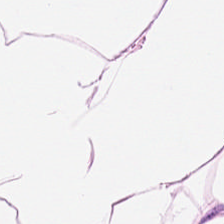Hematoxylin-and-eosin stained section. Tissue class = adipose.
